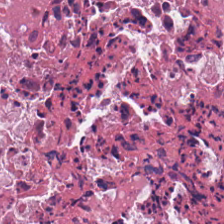Stain: H&E stain.
Preparation: FFPE tissue section.
Tissue type: cellular debris.
